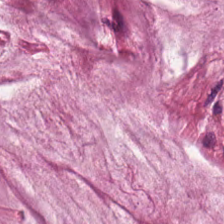Hematoxylin and eosin · brightfield.
Q: What does this patch show?
A: It is extracellular mucin.
